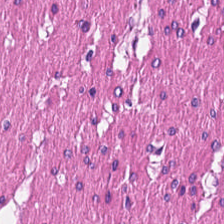{"tissue_type": "smooth muscle"}
